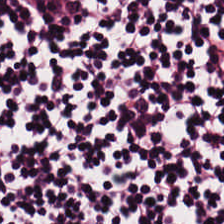Q: What type of tissue is this?
A: It is lymphoid infiltrate.
